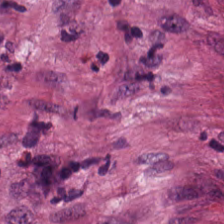Hematoxylin-and-eosin stained section. This patch shows desmoplastic stroma.
